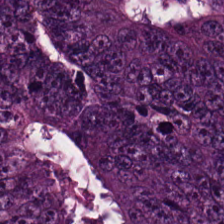Malignant epithelium.
